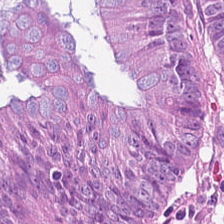Hematoxylin and eosin. FFPE. Showing adenocarcinoma.
